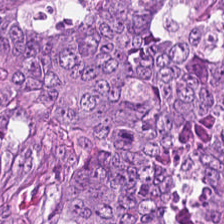Impression — tumor epithelium.
